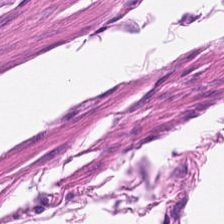Brightfield · H&E stain — Impression → smooth-muscle tissue.
